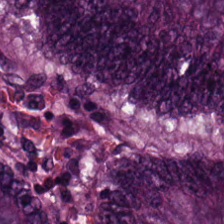Hematoxylin and eosin — Q: What tissue is shown?
A: This is tumor epithelium.
